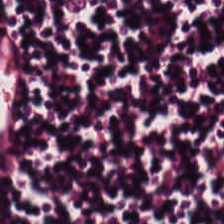Stain: H&E-stained tissue section.
Preparation: FFPE.
Tissue: lymphoid infiltrate.
